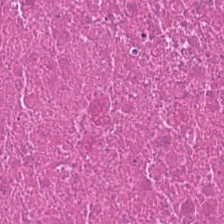H&E stain. Brightfield microscopy. Formalin-fixed paraffin-embedded section — Q: What is the predominant tissue type?
A: It is cellular debris.
